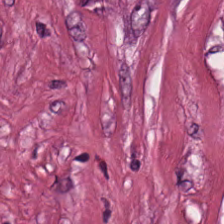H&E stain · brightfield. Showing tumor stroma.
